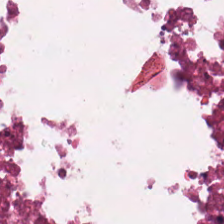FFPE tissue section; H&E.
Predominantly debris.
